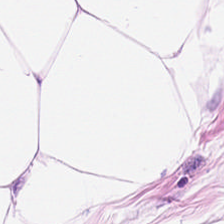H&E — The tissue type is adipocytes.
